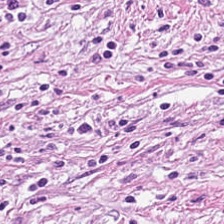0.5 microns per pixel. H&E stain.
Tumor stroma.
